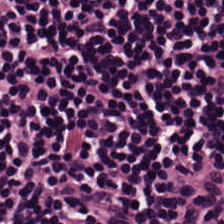H&E — Classification — lymphoid infiltrate.
